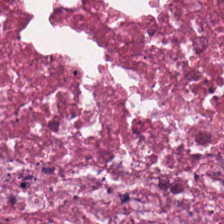H&E-stained tissue section. This field is necrotic debris.
